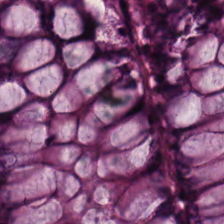H&E stain. Classification = benign colonic mucosa.
